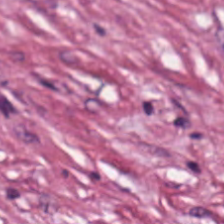Stain: H&E-stained tissue section.
Tissue: desmoplastic stroma.
